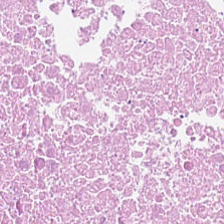Hematoxylin and eosin. This patch shows debris.
